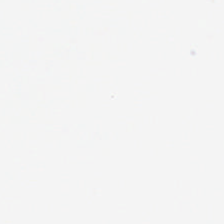0.5 µm per pixel · H&E — Background (no tissue).
